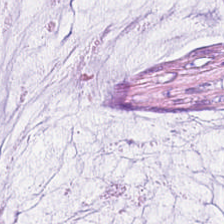0.5 microns per pixel · H&E · brightfield microscopy — The predominant tissue is extracellular mucin.
